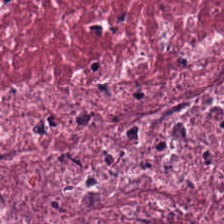The classification is tumor-associated stroma.
